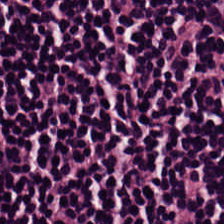Stain: hematoxylin and eosin.
Classification: lymphoid infiltrate.
